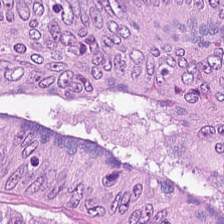H&E.
Q: What is the predominant tissue type?
A: Colorectal adenocarcinoma.
